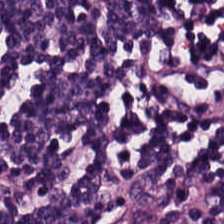Hematoxylin-and-eosin stained section · formalin-fixed paraffin-embedded section · 20× equivalent magnification — Q: Identify the tissue.
A: Lymphoid infiltrate.
